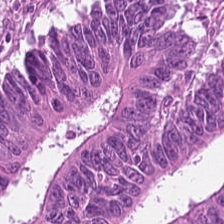H&E-stained tissue section. Predominantly malignant epithelium.
